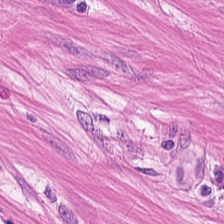H&E stain. Finding → muscularis.
